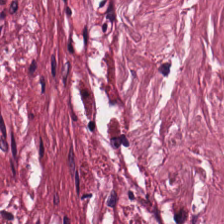Tissue type: cancer-associated stroma.
